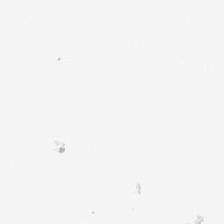224×224 px patch · H&E-stained tissue section. Classification: background.
